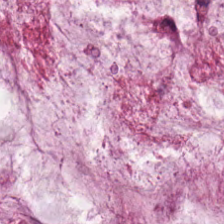{"tissue_type": "extracellular mucin"}
